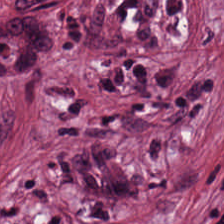Hematoxylin and eosin — Histology — cancer-associated stroma.
